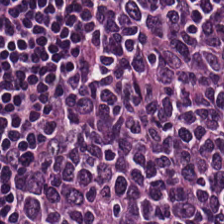Stain: hematoxylin-and-eosin stained section.
Tissue class: lymphocyte aggregate.
